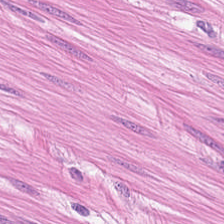H&E-stained tissue section. 0.5 µm per pixel. Classification — smooth-muscle tissue.
